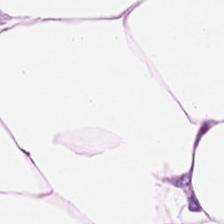Hematoxylin and eosin; 224×224 px patch.
Q: Classify this patch.
A: This is adipocytes.
